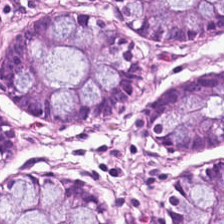Brightfield · hematoxylin and eosin. Showing benign colonic mucosa.
